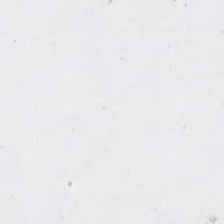Brightfield microscopy; H&E stain; 0.5 microns per pixel — Classification: empty background.
